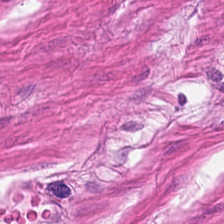FFPE tissue section; H&E stain.
This field is smooth muscle.
